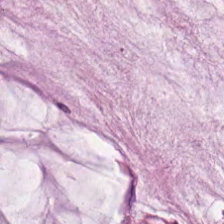The predominant tissue is mucus.
